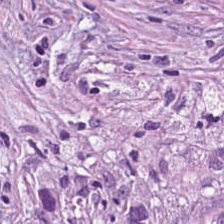The predominant tissue is desmoplastic stroma.
